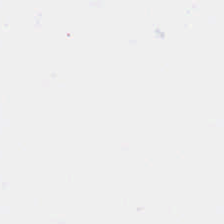H&E — Field content: empty background.
